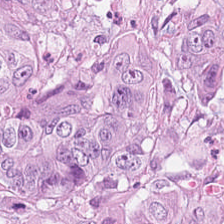Hematoxylin-and-eosin stained section; WSI patch; 0.5 µm/px — Showing adenocarcinoma.
